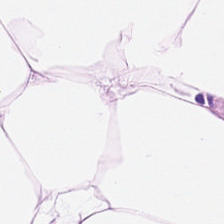H&E stain. Showing adipose tissue.
